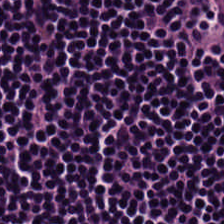Stain: H&E-stained tissue section.
Tissue class: lymphocytes.
